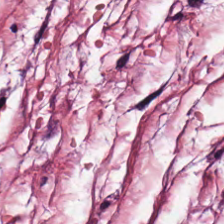Showing desmoplastic stroma.
